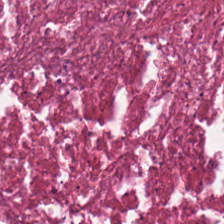Hematoxylin-and-eosin stained section — Histology — debris.
